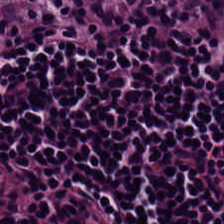Tissue type — lymphocytes.
